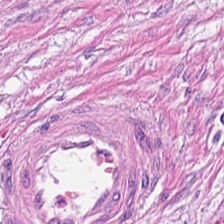20× equivalent magnification · hematoxylin and eosin. Q: What is the predominant tissue type?
A: Tumor-associated stroma.
